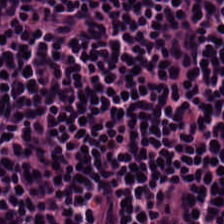Whole-slide-image patch; H&E. This patch shows lymphocytes.
